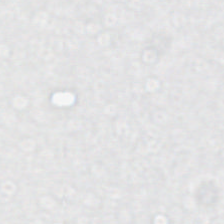224×224 px patch; H&E-stained tissue section; formalin-fixed paraffin-embedded section. Q: What does this patch show?
A: Empty background.
